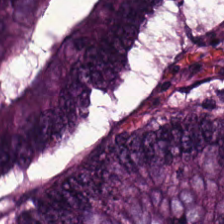Hematoxylin-and-eosin stained section — Classification = colorectal adenocarcinoma.
